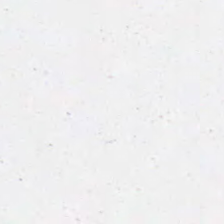H&E-stained tissue section.
Empty background.
